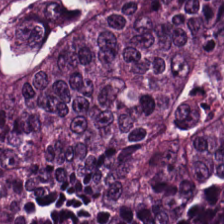Tissue type = colorectal adenocarcinoma epithelium.
